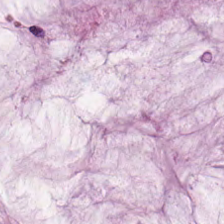{"tissue_type": "mucin"}
